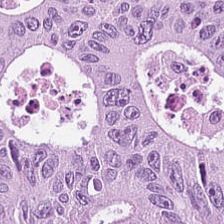Hematoxylin and eosin · WSI patch · FFPE — Colorectal adenocarcinoma epithelium.
